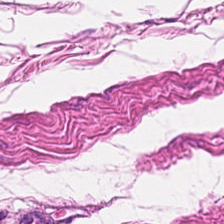This field is muscularis.
